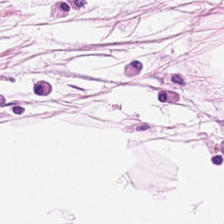FFPE tissue section · 0.5 microns per pixel · H&E.
The tissue type is adipose.
